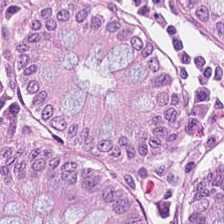Stain: H&E-stained tissue section.
Preparation: FFPE.
Tissue class: normal colon mucosa.
